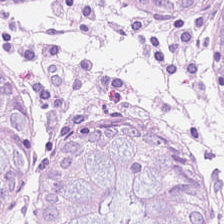Tissue class = benign colonic mucosa.
